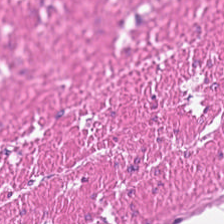Stain: hematoxylin-and-eosin stained section.
Tissue type: smooth-muscle tissue.
